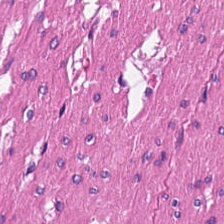Stain: H&E stain.
Tile size: 224×224 px patch.
Tissue: muscularis.
